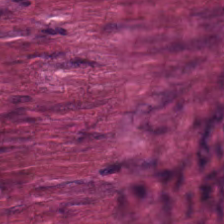H&E.
Q: Identify the tissue.
A: The field shows tumor-associated stroma.
